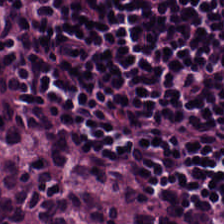WSI patch. H&E stain.
This patch shows lymphoid infiltrate.
